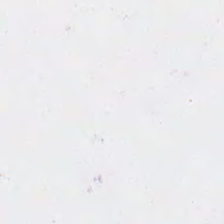H&E. WSI patch. 224×224 pixel tile.
Background.
